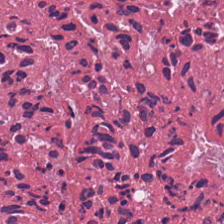Classification = debris.
